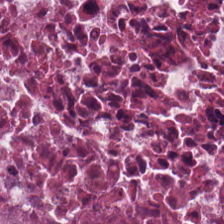H&E. WSI patch.
Q: What is the predominant tissue type?
A: The field shows debris.
